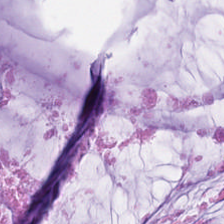H&E. 20× equivalent magnification.
Tissue class — mucus.
